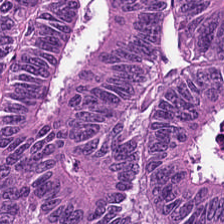Stain: H&E.
Classification: malignant epithelium.
